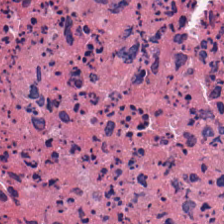Stain: H&E.
Tissue class: necrotic debris.
